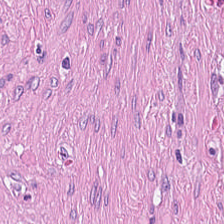Hematoxylin and eosin; formalin-fixed paraffin-embedded section. Histology → tumor stroma.
